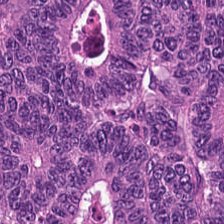H&E. Q: What tissue type is shown here?
A: The field shows colorectal adenocarcinoma.
